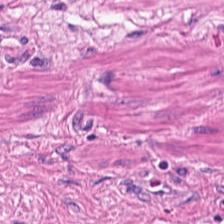Hematoxylin-and-eosin stained section.
Tissue: smooth-muscle tissue.
